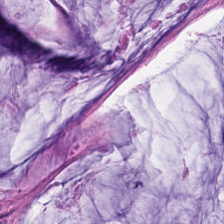Predominant tissue — mucus.
